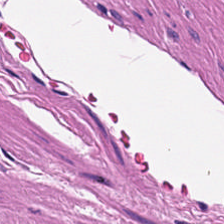H&E-stained tissue section — The tissue is muscularis.
